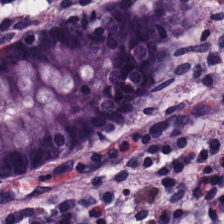Formalin-fixed paraffin-embedded section. Hematoxylin and eosin. 20× equivalent magnification. Predominant tissue — normal colonic mucosa.
